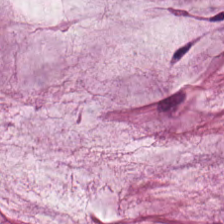H&E.
Predominantly mucus.
